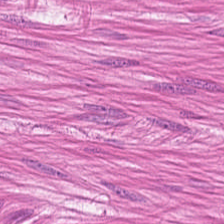Stain: hematoxylin-and-eosin stained section.
Tissue type: smooth-muscle tissue.
